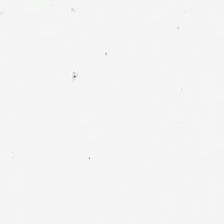Hematoxylin and eosin. 224×224 pixel tile. Content: background (no tissue).
